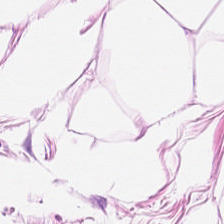Hematoxylin-and-eosin stained section.
This field is adipose.
